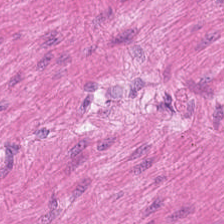224×224 px tile. H&E stain — Finding → smooth muscle.
